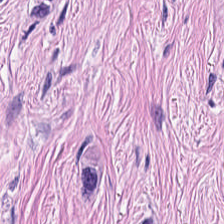Q: What type of tissue is this?
A: This is tumor-associated stroma.
